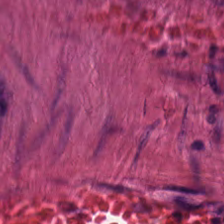Q: What tissue type is shown here?
A: It is smooth-muscle tissue.
